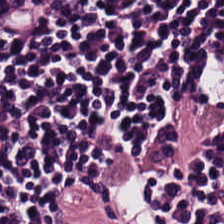H&E stain. Formalin-fixed paraffin-embedded section — {"tissue_type": "lymphocytes"}
